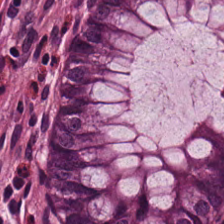Hematoxylin-and-eosin stained section · FFPE tissue section · 0.5 µm/px — This field is benign colonic mucosa.
